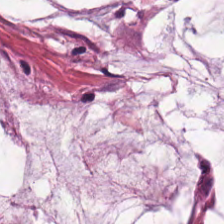H&E stain.
The tissue here is extracellular mucin.
